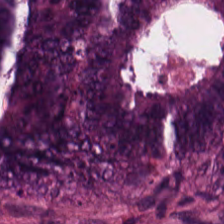Hematoxylin-and-eosin section: adenocarcinoma.
